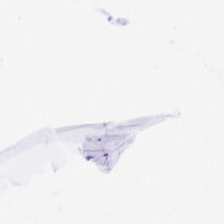H&E-stained tissue section — Field content = background.
